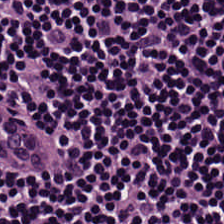Stain: hematoxylin-and-eosin stained section.
Tissue type: lymphocytes.
